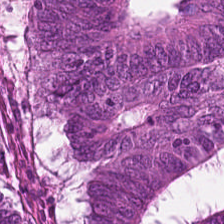Stain: hematoxylin and eosin.
Tissue type: malignant epithelium.
